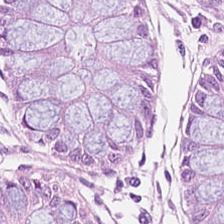The tissue class is benign colonic mucosa.
